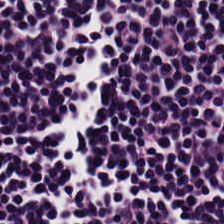Hematoxylin and eosin. Q: What tissue type is shown here?
A: Lymphoid infiltrate.
